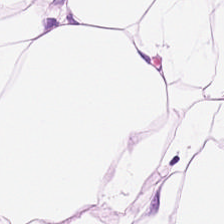20× equivalent magnification. Hematoxylin-and-eosin stained section. Predominantly adipose tissue.
